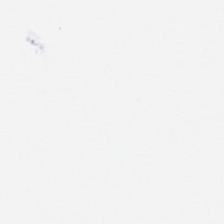H&E stain — Q: What is shown here?
A: The field shows no tissue.
